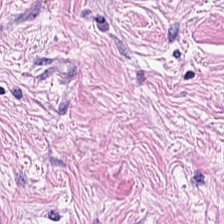Hematoxylin-and-eosin stained section. The tissue class is desmoplastic stroma.
